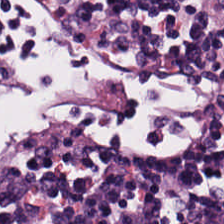H&E. Q: What type of tissue is this?
A: It is lymphocytes.
